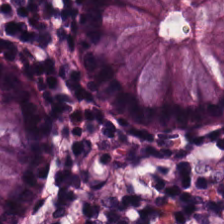Hematoxylin and eosin · whole-slide-image patch · 224×224 pixel tile — {"tissue_type": "non-neoplastic colon mucosa"}
